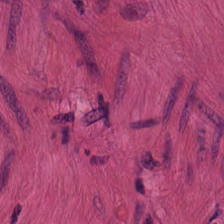224×224 px patch · H&E · WSI patch — Tissue type — smooth-muscle tissue.
